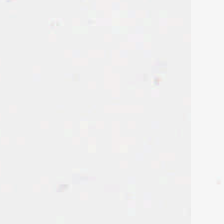H&E stain — Q: What does this patch show?
A: This is empty background.
